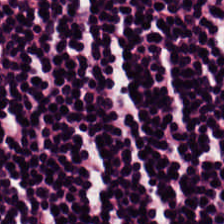H&E — This field is lymphocytic infiltrate.
